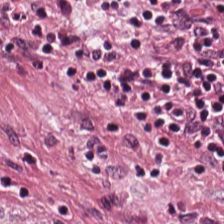Hematoxylin and eosin. Classification = adenocarcinoma.
